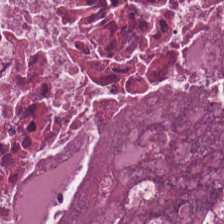Hematoxylin and eosin — The tissue here is necrotic debris.
